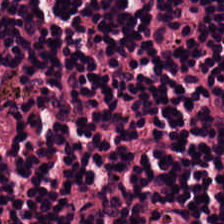H&E stain — This field is lymphoid infiltrate.
